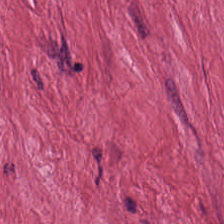H&E stain — Tumor-associated stroma.
